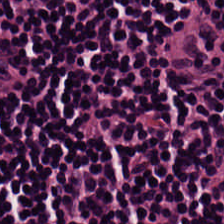224×224 px patch. Hematoxylin and eosin. Histology — lymphocyte aggregate.
